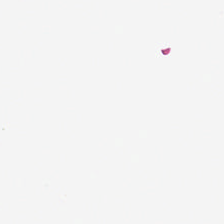H&E stain · 224×224 pixel tile.
Impression → background.
